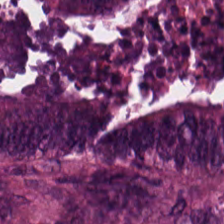H&E stain. Brightfield microscopy. Q: What tissue is shown?
A: The field shows tumor epithelium.
